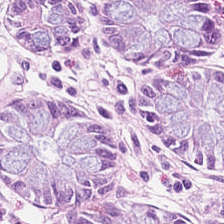Tissue = non-neoplastic colon mucosa.
